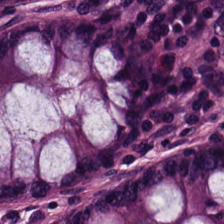H&E — Impression → normal colon mucosa.
